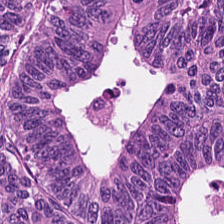Histology — adenocarcinoma.
